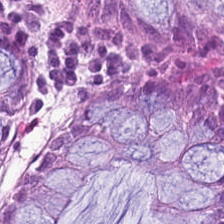Brightfield microscopy. H&E-stained tissue section. Classification — normal colon mucosa.
